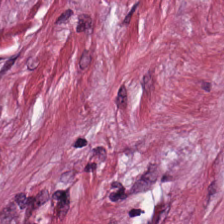224×224 px patch · H&E-stained tissue section. Tissue — cancer-associated stroma.
